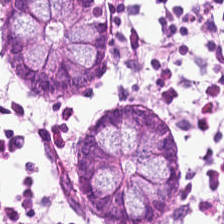Hematoxylin-and-eosin stained section — This patch shows non-neoplastic colon mucosa.
